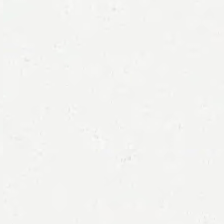Stain: hematoxylin-and-eosin stained section.
Resolution: 0.5 µm/px.
Tile size: 224×224 px patch.
Classification: empty background.
